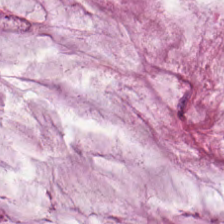Hematoxylin-and-eosin stained section — Classification — mucus.
